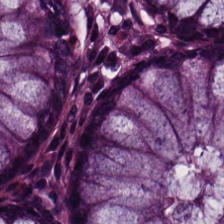20× equivalent magnification; H&E-stained tissue section. The predominant tissue is non-neoplastic colon mucosa.
